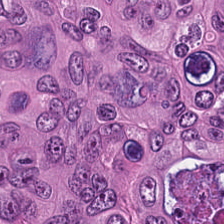Hematoxylin and eosin — This field is colorectal adenocarcinoma.
